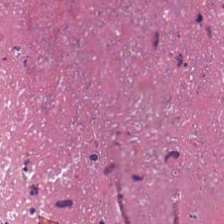Stain: hematoxylin-and-eosin stained section.
Predominant tissue: necrotic debris.
